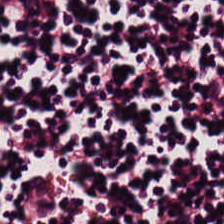Predominant tissue: lymphocytes.
